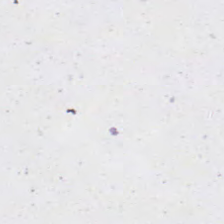H&E.
Q: What is shown here?
A: No tissue.
